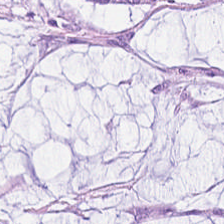0.5 µm/px · 224×224 pixel tile · hematoxylin-and-eosin stained section. This field is extracellular mucin.
